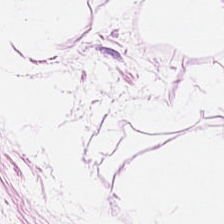H&E-stained tissue section.
Q: What type of tissue is this?
A: The field shows adipose.
